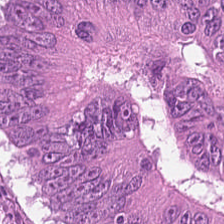Formalin-fixed paraffin-embedded section; H&E stain. The predominant tissue is colorectal adenocarcinoma epithelium.
